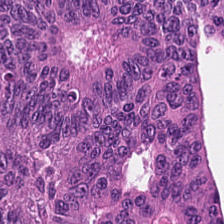Predominant tissue: colorectal adenocarcinoma epithelium.
